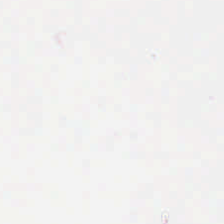224×224 px tile; H&E. Content = no tissue.
